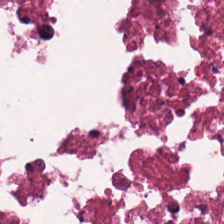Tissue class = debris.
